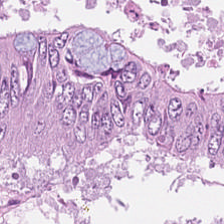The tissue is colorectal adenocarcinoma.
